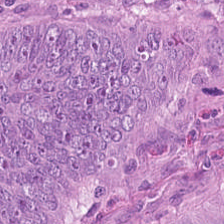224×224 px patch. Hematoxylin and eosin — The predominant tissue is tumor epithelium.
